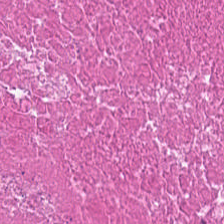Q: What does this patch show?
A: The field shows necrotic debris.
